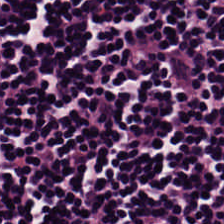Hematoxylin and eosin.
Showing lymphocytes.
